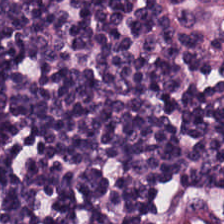H&E stain — Showing lymphocytes.
